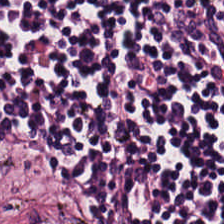Hematoxylin-and-eosin stained section · WSI patch. Q: What type of tissue is this?
A: Lymphocytes.
